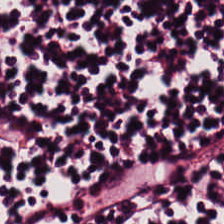Hematoxylin and eosin. 224×224 px patch.
{"tissue_type": "lymphocytic infiltrate"}
